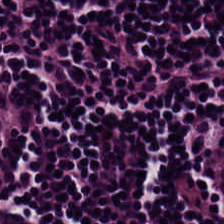H&E-stained tissue section; formalin-fixed paraffin-embedded section.
Q: What is shown here?
A: It is lymphoid infiltrate.
